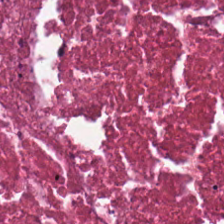Stain: H&E-stained tissue section.
Tile size: 224×224 px patch.
Predominant tissue: debris.
